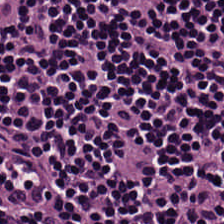224×224 px tile. H&E. 0.5 microns per pixel — Classification — lymphocytic infiltrate.
